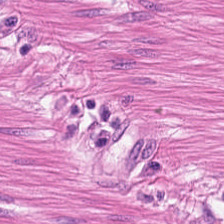Stain: hematoxylin-and-eosin stained section.
Classification: smooth-muscle tissue.
